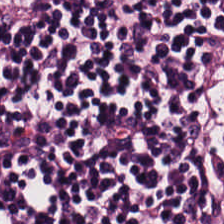20× equivalent magnification · hematoxylin-and-eosin stained section · FFPE. Q: What type of tissue is this?
A: Lymphoid infiltrate.
